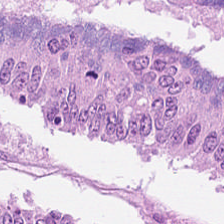Q: What is shown here?
A: The field shows colorectal adenocarcinoma.
